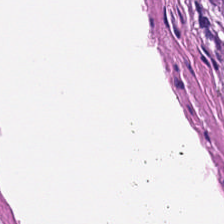Hematoxylin-and-eosin stained section. Whole-slide-image patch — Tissue type: smooth muscle.
